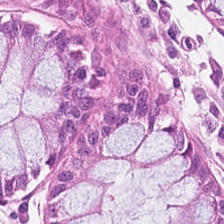H&E — Impression → normal colonic mucosa.
